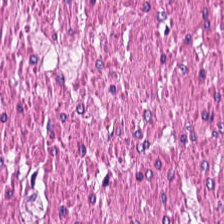224×224 pixel tile; hematoxylin-and-eosin stained section; FFPE tissue section. The tissue type is smooth-muscle tissue.
